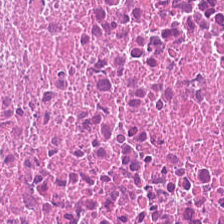H&E.
Tissue type: debris.
